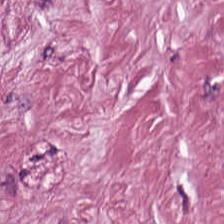0.5 µm per pixel; H&E-stained tissue section. Q: What is shown in this field?
A: It is tumor stroma.
